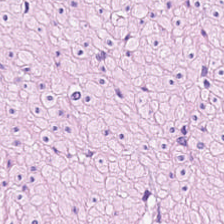Q: Identify the tissue.
A: Smooth-muscle tissue.
